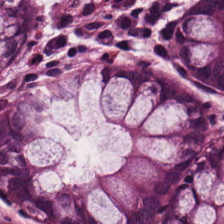Showing non-neoplastic colon mucosa.
